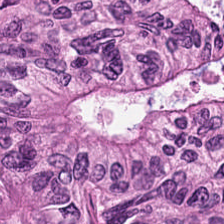{"tissue_type": "malignant epithelium"}
